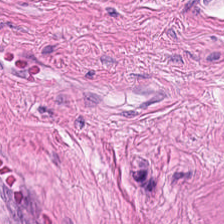Stain: hematoxylin and eosin.
Tissue class: smooth-muscle tissue.
